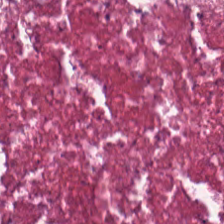FFPE · H&E · WSI patch. Predominantly cellular debris.
